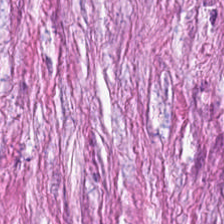Stain: hematoxylin-and-eosin stained section.
Tile size: 224×224 pixel tile.
Preparation: formalin-fixed paraffin-embedded section.
Predominant tissue: tumor stroma.
